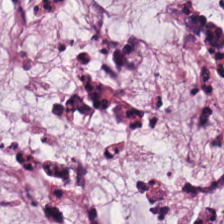H&E — Showing mucin.
